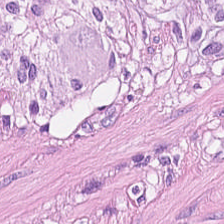H&E-stained tissue section.
Tissue class: muscularis.
